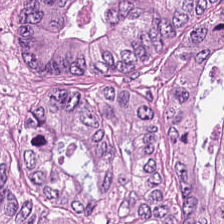H&E-stained tissue section.
Classification = colorectal adenocarcinoma epithelium.
